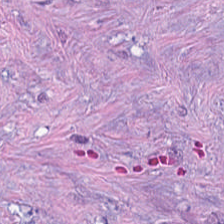Tissue type: tumor stroma.
